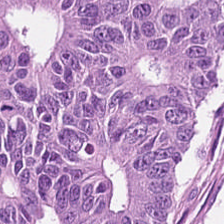Hematoxylin-and-eosin stained section.
This patch shows colorectal adenocarcinoma.
